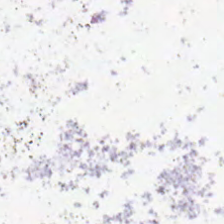H&E stain. No tissue present; background only.
